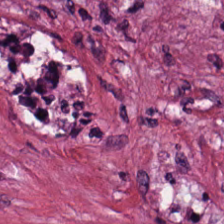Hematoxylin-and-eosin stained section. Q: Classify this patch.
A: It is desmoplastic stroma.
